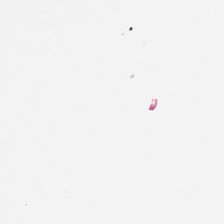WSI patch. H&E. 224×224 px tile.
Histology — background (no tissue).
